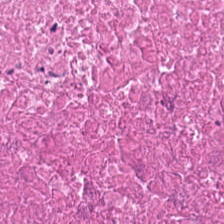Hematoxylin and eosin · brightfield · FFPE tissue section. Histology → cellular debris.
